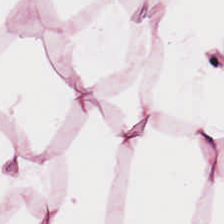Hematoxylin and eosin.
Tissue class — adipose tissue.
